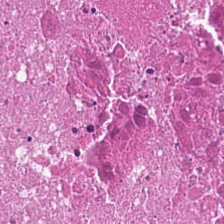H&E stain. {"tissue_type": "cellular debris"}
